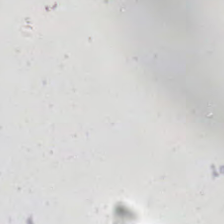Hematoxylin-and-eosin stained section · 0.5 microns per pixel · whole-slide-image patch. Field content — empty background.
